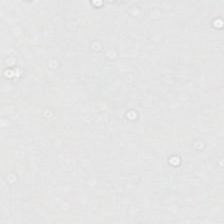Brightfield; hematoxylin-and-eosin stained section; formalin-fixed paraffin-embedded section — Impression → empty background.
